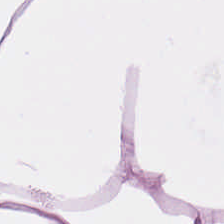H&E stain; 0.5 microns per pixel; brightfield microscopy. The tissue is adipose.
